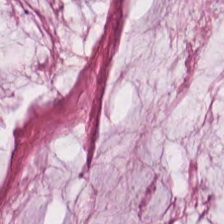Tissue type: mucin.
